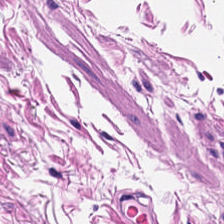Tissue = smooth-muscle tissue.
